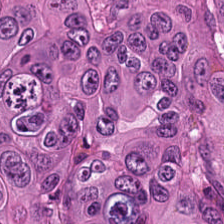Histology — colorectal adenocarcinoma epithelium.
